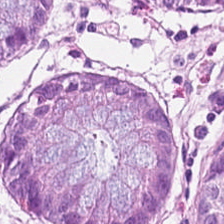Hematoxylin and eosin; 224×224 pixel tile; 0.5 microns per pixel — The tissue here is non-neoplastic colon mucosa.
